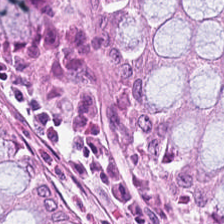H&E stain; brightfield; 20× equivalent magnification. Normal colon mucosa.
